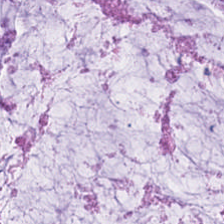Formalin-fixed paraffin-embedded section · H&E-stained tissue section.
Classification — mucus.
